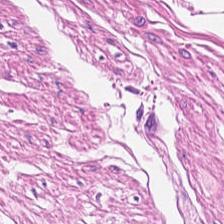The classification is smooth muscle.
